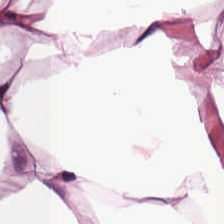H&E — adipocytes.
